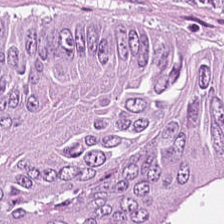Hematoxylin-and-eosin stained section; whole-slide-image patch — Tissue type: colorectal adenocarcinoma.
